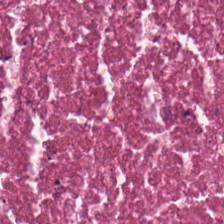H&E stain — Predominantly cellular debris.
